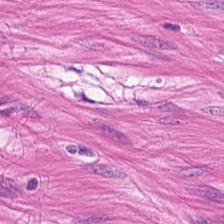224×224 pixel tile; hematoxylin and eosin — Histology — smooth muscle.
